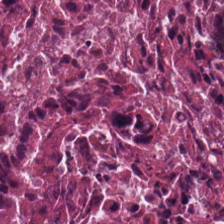FFPE · hematoxylin and eosin. Tissue type — necrotic debris.
